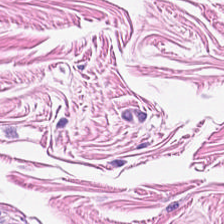Hematoxylin and eosin.
{"tissue_type": "smooth muscle"}
